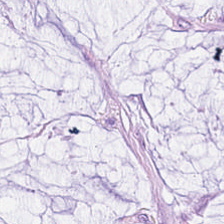Hematoxylin-and-eosin stained section; formalin-fixed paraffin-embedded section.
Q: Identify the tissue.
A: Mucus.
